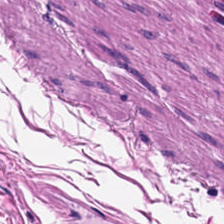224×224 px tile; H&E. The classification is smooth muscle.
